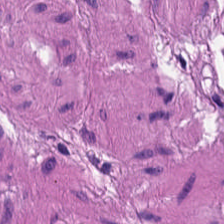Whole-slide-image patch. H&E-stained tissue section.
Tissue type = smooth-muscle tissue.
